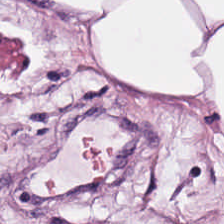H&E-stained tissue section. The classification is adipose tissue.
